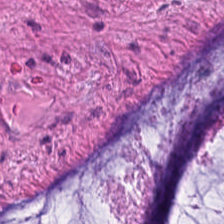H&E stain.
This patch shows extracellular mucin.
